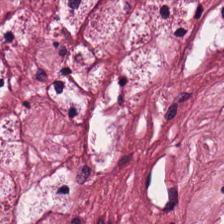Brightfield. 224×224 px tile. H&E. Tissue type = desmoplastic stroma.
